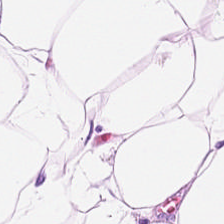Q: What type of tissue is this?
A: This is adipocytes.
